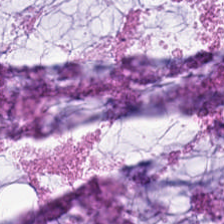Q: What tissue is shown?
A: Mucin.
